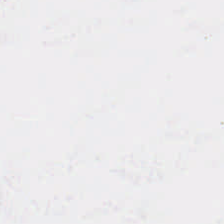Hematoxylin and eosin; formalin-fixed paraffin-embedded section.
Field content — empty background.
